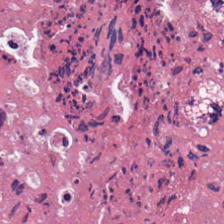H&E patch showing cellular debris.
